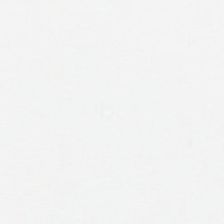Hematoxylin-and-eosin stained section — Background — no tissue in this field.
